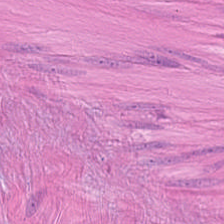H&E-stained tissue section.
Finding → muscularis.
